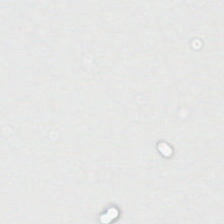H&E. Q: What is shown here?
A: The field shows background (no tissue).
